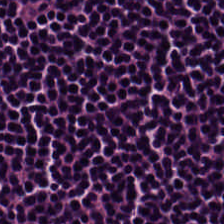H&E-stained section; the field shows lymphocytes.
